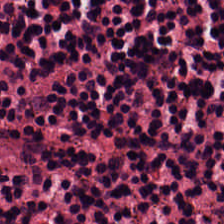Finding — lymphocyte aggregate.
